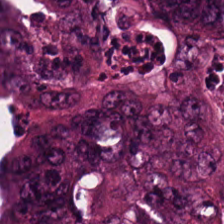Hematoxylin and eosin — Predominantly adenocarcinoma.
